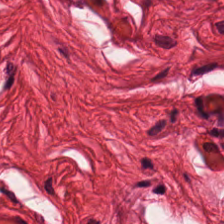H&E-stained tissue section. 224×224 px tile. Tissue type: smooth muscle.
